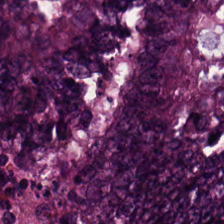Stain: H&E-stained tissue section.
Tissue class: adenocarcinoma.
